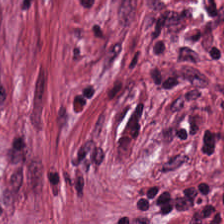Hematoxylin-and-eosin stained section.
Predominantly tumor stroma.
